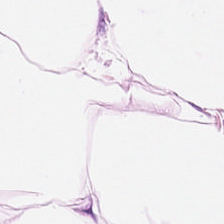H&E stain. This field is fat tissue.
